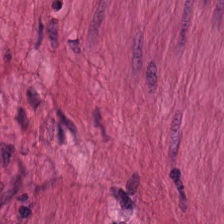Q: What is shown in this field?
A: Smooth-muscle tissue.
